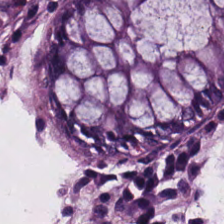Hematoxylin-and-eosin stained section; FFPE.
The tissue here is benign colonic mucosa.
